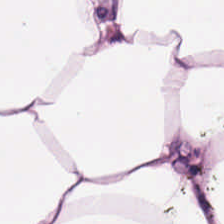Hematoxylin-and-eosin stained section.
{"tissue_type": "adipocytes"}
